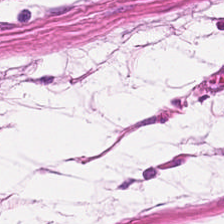H&E-stained tissue section — The predominant tissue is smooth muscle.
